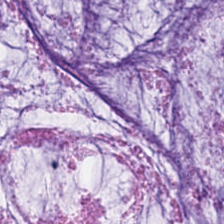H&E-stained tissue section — Histology — mucus.
